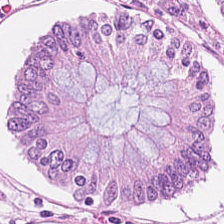FFPE; H&E stain. This field is non-neoplastic colon mucosa.
